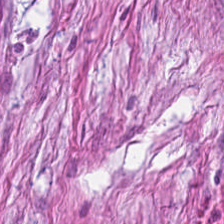H&E-stained tissue section. Predominant tissue: cancer-associated stroma.
